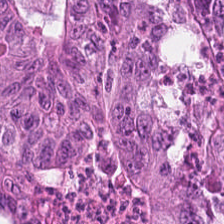Hematoxylin-and-eosin stained section.
Histology — malignant epithelium.
